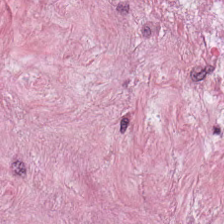Hematoxylin-and-eosin stained section.
The tissue class is tumor stroma.
